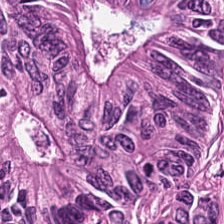Malignant epithelium.
